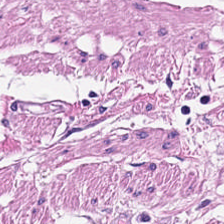H&E stain · WSI patch · 224×224 px tile. {"tissue_type": "smooth-muscle tissue"}
